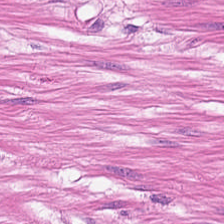Hematoxylin-and-eosin stained section; brightfield.
Smooth muscle.
